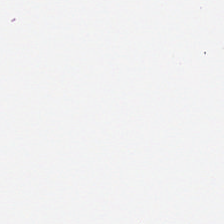Stain: hematoxylin-and-eosin stained section.
Classification: no tissue.
